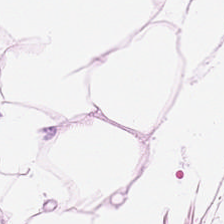20× equivalent magnification; H&E — This patch shows adipose tissue.
